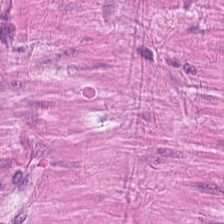H&E-stained section; the field shows smooth-muscle tissue.
